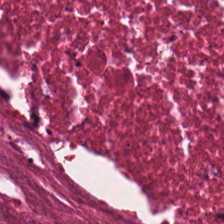Q: What tissue type is shown here?
A: Necrotic debris.
